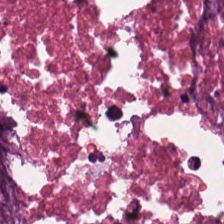Hematoxylin-and-eosin stained section — Q: What tissue is shown?
A: Necrotic debris.
